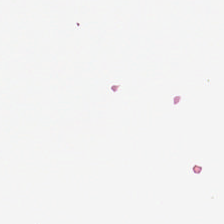Stain: hematoxylin-and-eosin stained section.
Classification: background (no tissue).
